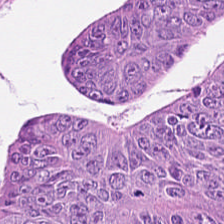224×224 px patch · H&E-stained tissue section · 0.5 µm per pixel — The tissue type is colorectal adenocarcinoma epithelium.
